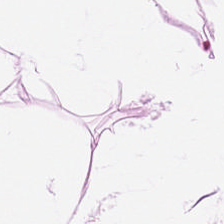H&E — Predominantly adipose tissue.
